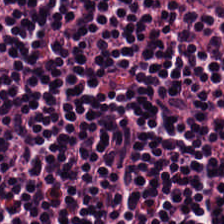Tissue: lymphocytes.
